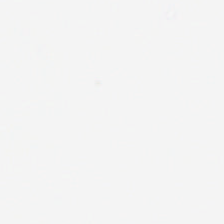This patch shows background.
